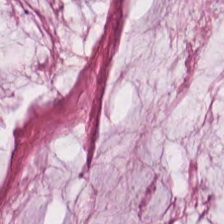Hematoxylin-and-eosin stained section — Q: Classify this patch.
A: The field shows extracellular mucin.
